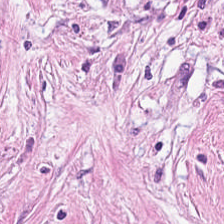Classification — tumor-associated stroma.
